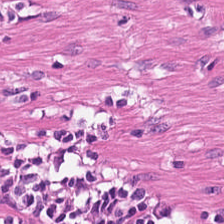Stain: H&E.
Tile size: 224×224 pixel tile.
Classification: muscularis.
